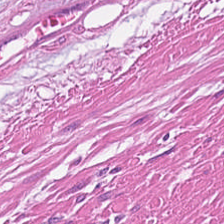FFPE tissue section. Hematoxylin and eosin. Brightfield microscopy — Q: What tissue type is shown here?
A: It is smooth-muscle tissue.
